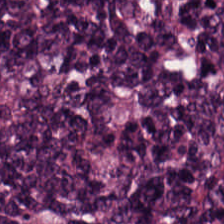Predominantly lymphocytes.
